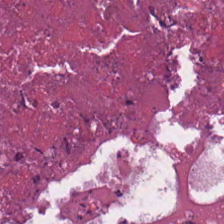Stain: hematoxylin and eosin.
Classification: debris.
